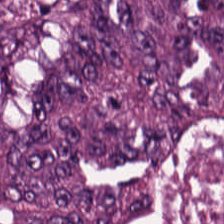H&E. The predominant tissue is tumor epithelium.
